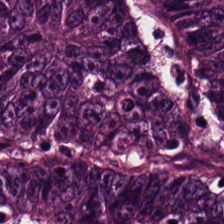H&E — Q: What tissue is shown?
A: The field shows colorectal adenocarcinoma.
